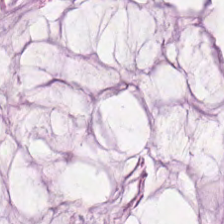0.5 µm per pixel · H&E-stained tissue section. Q: What type of tissue is this?
A: This is extracellular mucin.
